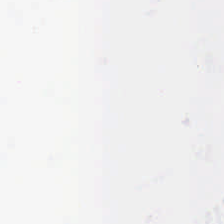Impression — no tissue.
